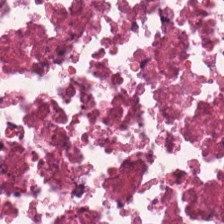Hematoxylin and eosin. Histology — debris.
